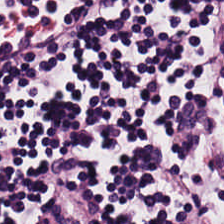H&E stain — Classification = lymphoid infiltrate.
